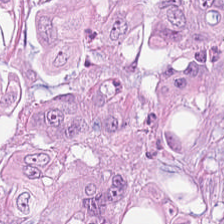Stain: H&E-stained tissue section.
Classification: colorectal adenocarcinoma epithelium.
